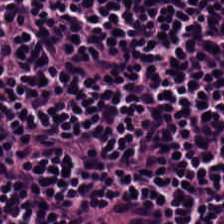Tissue — lymphocytes.
